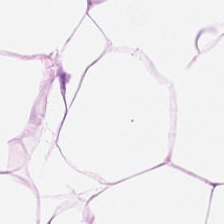Q: What tissue type is shown here?
A: It is adipose.
